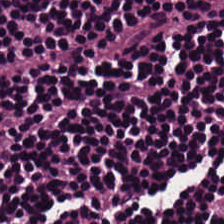H&E stain.
The tissue here is lymphocyte aggregate.
